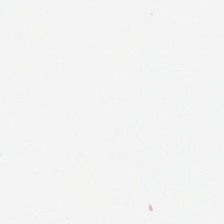Hematoxylin-and-eosin stained section. Formalin-fixed paraffin-embedded section. Q: What does this patch show?
A: It is background (no tissue).
